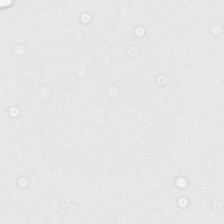This field is background (no tissue).
